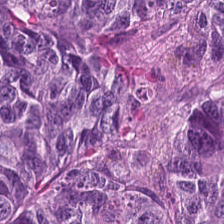Hematoxylin and eosin · 224×224 px patch · FFPE. Showing malignant epithelium.
